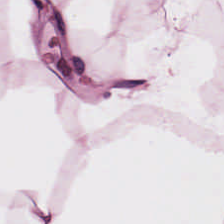H&E — Histology → adipocytes.
